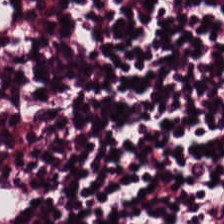H&E-stained tissue section.
Tissue: lymphocyte aggregate.
